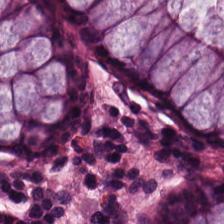Hematoxylin-and-eosin stained section.
Finding → benign colonic mucosa.
